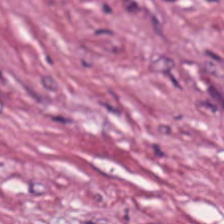H&E-stained tissue section showing cancer-associated stroma.
